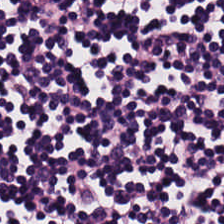Predominant tissue: lymphocytic infiltrate.
